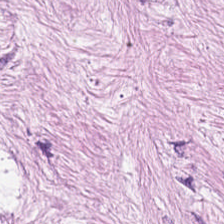Stain: H&E stain.
Tissue type: tumor-associated stroma.
